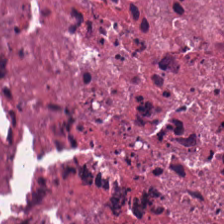H&E-stained tissue section — Histology — necrotic debris.
